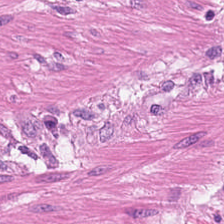Hematoxylin-and-eosin stained section — The tissue here is muscularis.
